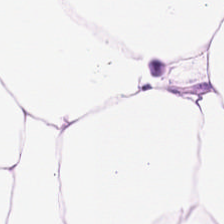Histology — fat tissue.
